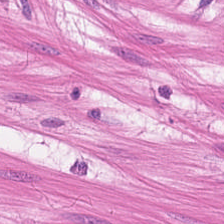Stain: H&E.
Tissue class: smooth-muscle tissue.
